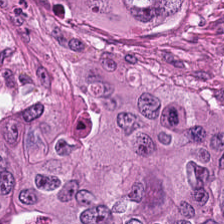0.5 µm/px. H&E stain. {"tissue_type": "colorectal adenocarcinoma epithelium"}
